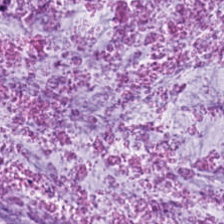Formalin-fixed paraffin-embedded section; H&E-stained tissue section.
Predominantly extracellular mucin.
